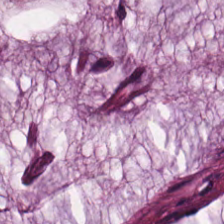H&E-stained tissue section. Brightfield microscopy.
Predominantly mucin.
